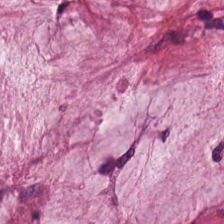Hematoxylin-and-eosin section: extracellular mucin.
